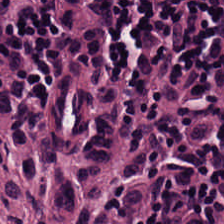Tissue class: lymphocytes.
